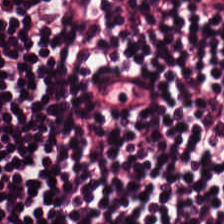H&E stain · 224×224 px patch · 20× equivalent magnification.
{"tissue_type": "lymphoid infiltrate"}
